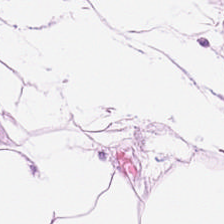H&E stain.
Histology → fat tissue.
